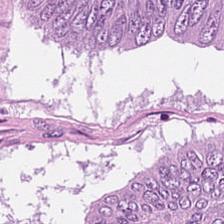FFPE · 20× equivalent magnification · H&E. Tissue class — adenocarcinoma.
